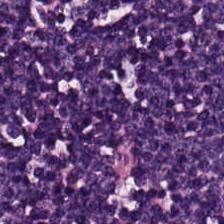Hematoxylin-and-eosin stained section; 224×224 pixel tile.
Showing lymphocyte aggregate.
